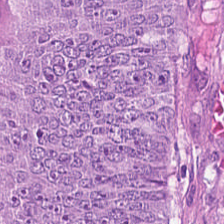H&E-stained tissue section. FFPE tissue section. Predominantly malignant epithelium.
